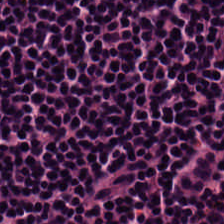H&E-stained tissue section. Q: What tissue is shown?
A: Lymphoid infiltrate.
